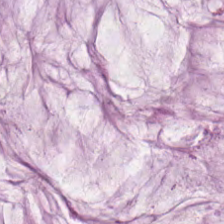Q: What is shown here?
A: Mucin.
